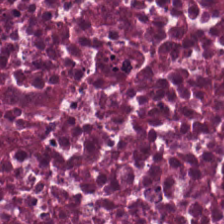Stain: hematoxylin-and-eosin stained section.
Tissue type: necrotic debris.
